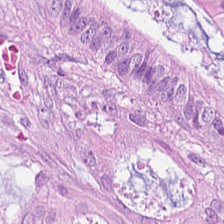{"tissue_type": "adenocarcinoma"}
